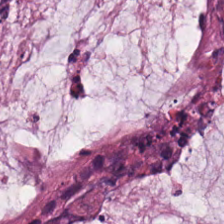0.5 µm/px · H&E · whole-slide-image patch. The tissue here is mucin.
